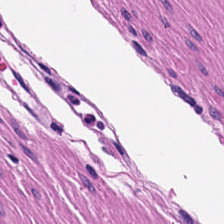0.5 µm/px · H&E — Q: What type of tissue is this?
A: Smooth-muscle tissue.
